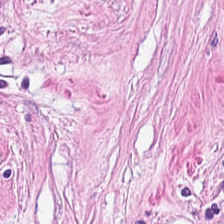FFPE; H&E stain — The predominant tissue is cancer-associated stroma.
